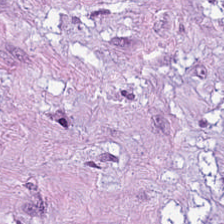Hematoxylin-and-eosin stained section. FFPE tissue section. 224×224 px patch. The tissue class is desmoplastic stroma.
